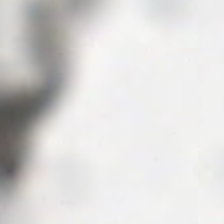Hematoxylin and eosin.
This field is background (no tissue).
